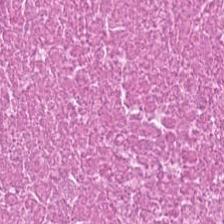Stain: H&E-stained tissue section.
Predominant tissue: cellular debris.
